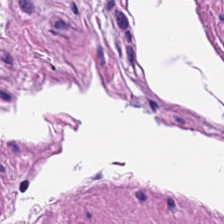Q: What is shown in this field?
A: It is smooth muscle.
